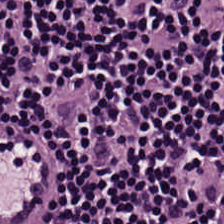{"tissue_type": "lymphocytic infiltrate"}
